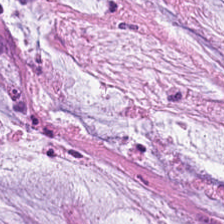H&E. Q: Identify the tissue.
A: It is extracellular mucin.
